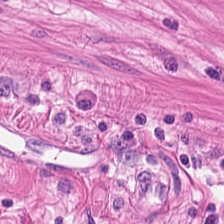Hematoxylin and eosin · formalin-fixed paraffin-embedded section — Impression → muscularis.
